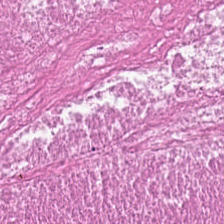Showing necrotic debris.
